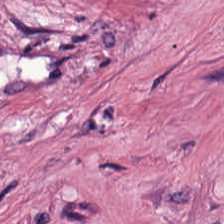Brightfield microscopy; hematoxylin-and-eosin stained section. Impression — desmoplastic stroma.
